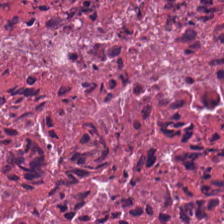H&E-stained tissue section. 0.5 µm/px. Whole-slide-image patch. Histology — cellular debris.
